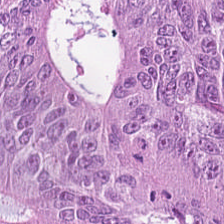0.5 microns per pixel. H&E — This field is tumor epithelium.
